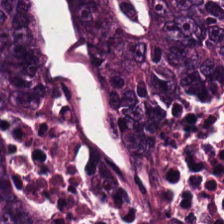Hematoxylin and eosin.
Q: What does this patch show?
A: This is colorectal adenocarcinoma epithelium.
